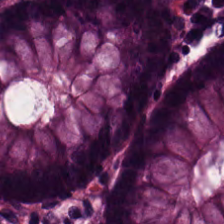Hematoxylin and eosin. FFPE — The predominant tissue is normal colonic mucosa.
